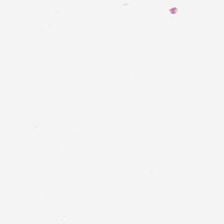H&E. Q: What does this patch show?
A: No tissue.
